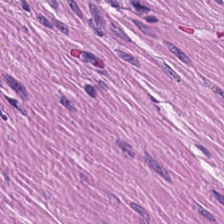H&E-stained tissue section showing muscularis.
